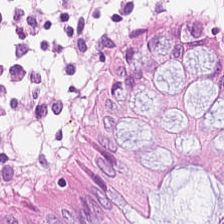The tissue type is normal colon mucosa.
